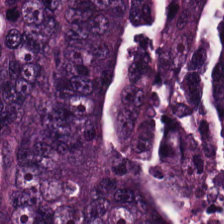Stain: H&E stain.
Classification: malignant epithelium.
